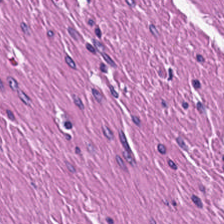H&E-stained tissue section; WSI patch. Smooth-muscle tissue.
